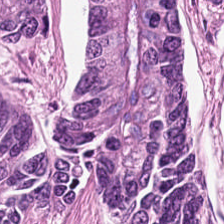Formalin-fixed paraffin-embedded section · H&E. Predominantly adenocarcinoma.
